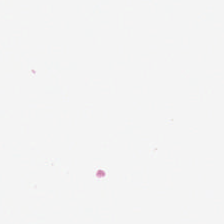This field is background (no tissue).
